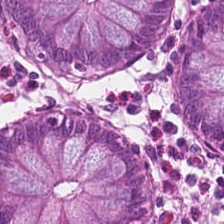H&E — The predominant tissue is normal colonic mucosa.
